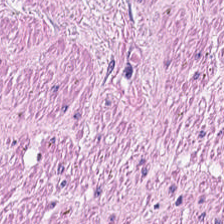H&E stain. Tissue type = muscularis.
